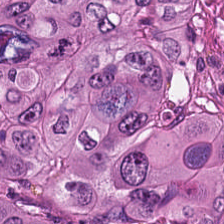H&E stain.
Q: Classify this patch.
A: It is adenocarcinoma.
